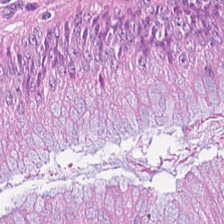Stain: H&E-stained tissue section.
Tile size: 224×224 px patch.
Preparation: formalin-fixed paraffin-embedded section.
Classification: colorectal adenocarcinoma.
